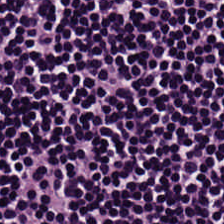H&E-stained tissue section — Finding → lymphocytic infiltrate.
